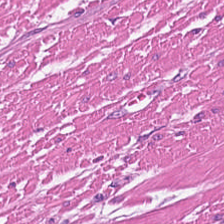H&E stain.
This field is muscularis.
